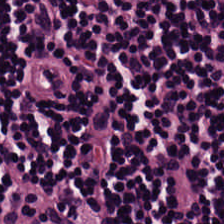{"tissue_type": "lymphocytic infiltrate"}
